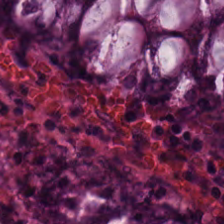0.5 microns per pixel. 224×224 px tile. H&E stain. Histology → benign colonic mucosa.
